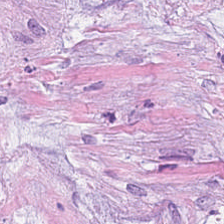Hematoxylin and eosin — Histology — mucin.
